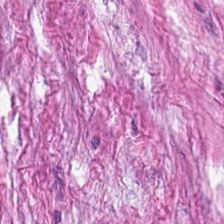FFPE; H&E-stained tissue section; 0.5 µm per pixel.
The tissue here is tumor stroma.
